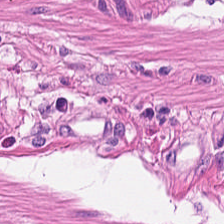Hematoxylin and eosin — The tissue type is smooth muscle.
